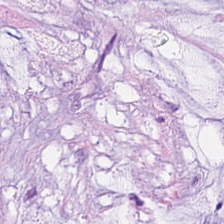Stain: H&E.
Tissue class: mucus.
